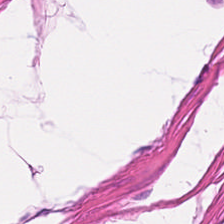Smooth-muscle tissue.
